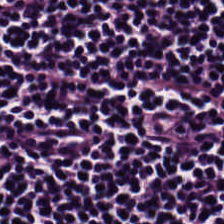H&E.
Predominantly lymphocytes.
